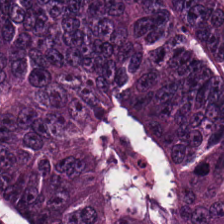H&E.
Impression — colorectal adenocarcinoma.
